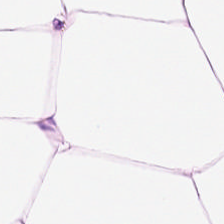H&E. This patch shows fat tissue.
